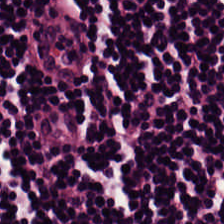The tissue is lymphocytes.
